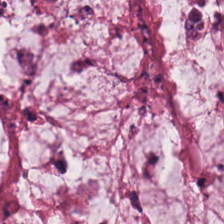Stain: H&E-stained tissue section.
Classification: extracellular mucin.
